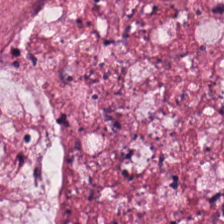This patch shows mucin.
